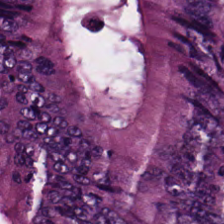H&E-stained section; the field shows malignant epithelium.
